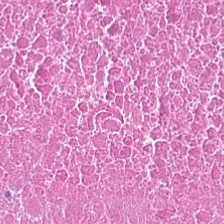H&E stain · 20× equivalent magnification · 224×224 pixel tile. The tissue here is cellular debris.
